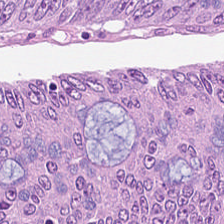Hematoxylin-and-eosin stained section — This field is tumor epithelium.
